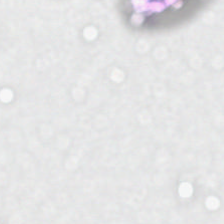FFPE. Brightfield microscopy. H&E — Field content: no tissue.
